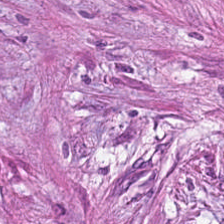H&E stain. Predominantly tumor stroma.
